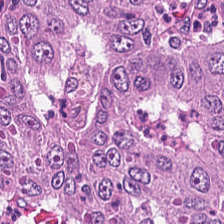Q: What is shown here?
A: This is adenocarcinoma.
